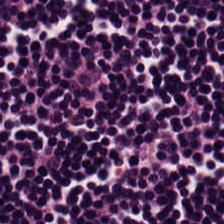0.5 µm per pixel · H&E.
Predominant tissue: lymphocytes.
